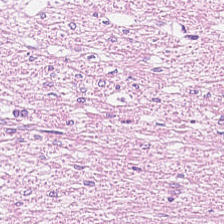Stain: H&E.
Predominant tissue: muscularis.
